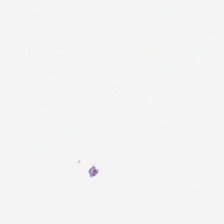Hematoxylin-and-eosin stained section.
Content — no tissue.
